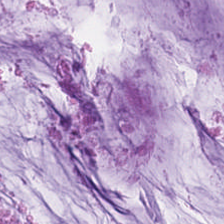224×224 px tile · H&E-stained tissue section. The tissue here is extracellular mucin.
